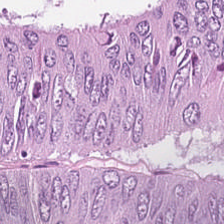Hematoxylin and eosin — Q: What is shown in this field?
A: The field shows tumor epithelium.
